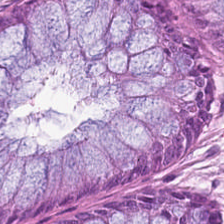Stain: hematoxylin-and-eosin stained section.
Tissue type: non-neoplastic colon mucosa.
